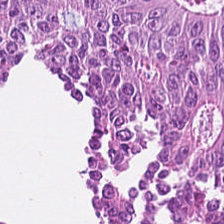Hematoxylin-and-eosin stained section. Finding → tumor epithelium.
